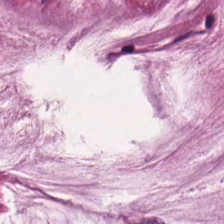Hematoxylin and eosin. This field is mucin.
